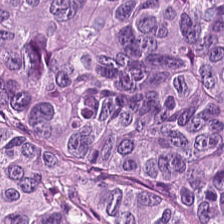Formalin-fixed paraffin-embedded section. Hematoxylin and eosin — Q: What tissue type is shown here?
A: This is tumor epithelium.
